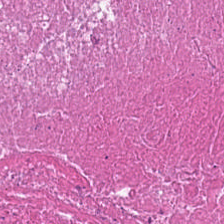Histology — cellular debris.
